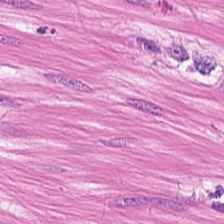FFPE; hematoxylin-and-eosin stained section.
Predominantly smooth-muscle tissue.
